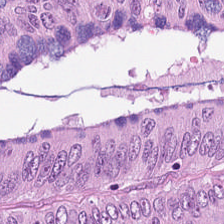H&E stain — Predominantly tumor epithelium.
